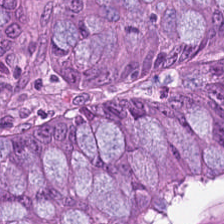Q: Identify the tissue.
A: This is colorectal adenocarcinoma.
